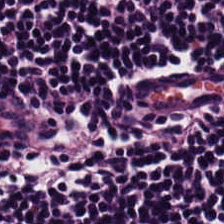Stain: H&E-stained tissue section.
Tissue class: lymphocyte aggregate.
